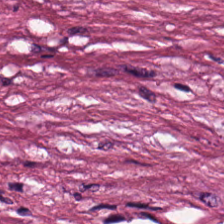Tissue class = necrotic debris.
